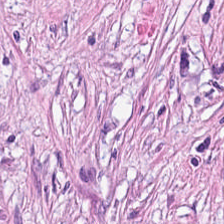FFPE. 0.5 µm per pixel. H&E stain.
Predominantly desmoplastic stroma.
